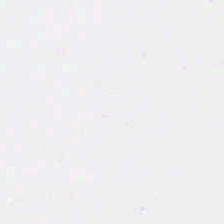Hematoxylin-and-eosin stained section.
Background.
